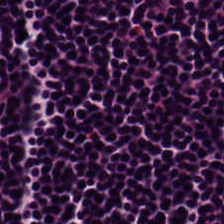H&E-stained tissue section. 0.5 µm/px — Histology — lymphocytes.
